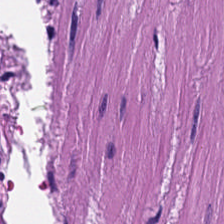Stain: hematoxylin-and-eosin stained section.
Predominant tissue: smooth-muscle tissue.
